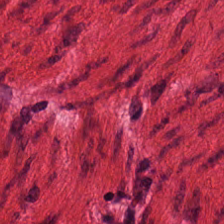H&E.
Finding → smooth-muscle tissue.
